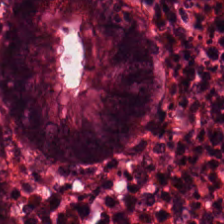H&E-stained tissue section.
Finding → benign colonic mucosa.
